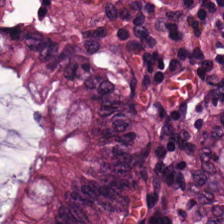FFPE; 224×224 pixel tile; hematoxylin and eosin — This field is benign colonic mucosa.
